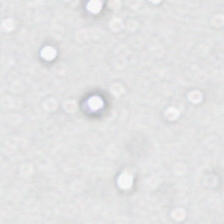H&E.
Q: What is shown in this field?
A: It is empty background.
